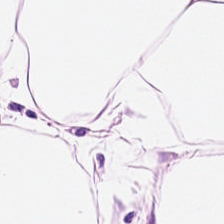H&E-stained tissue section.
Q: What type of tissue is this?
A: The field shows adipocytes.
